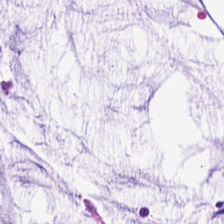H&E. This patch shows extracellular mucin.
